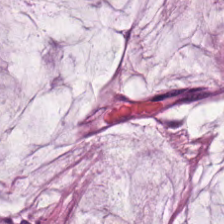H&E-stained tissue section showing extracellular mucin.
